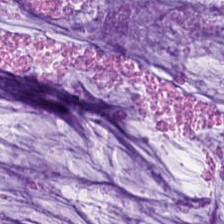Classification: mucin.
